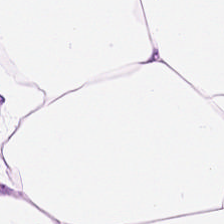224×224 px patch; H&E stain; FFPE tissue section.
Predominant tissue — adipose tissue.
